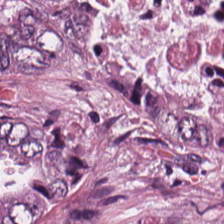Hematoxylin-and-eosin stained section; WSI patch — Q: What type of tissue is this?
A: This is adenocarcinoma.
